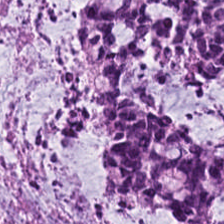Brightfield microscopy. H&E-stained tissue section. 0.5 µm per pixel.
This field is mucus.
